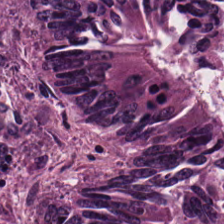FFPE tissue section; hematoxylin-and-eosin stained section; WSI patch. This field is colorectal adenocarcinoma epithelium.
